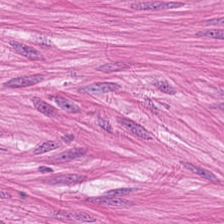H&E-stained tissue section · 0.5 microns per pixel. Q: What tissue type is shown here?
A: Muscularis.
